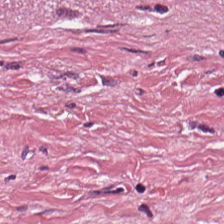The tissue is tumor stroma.
